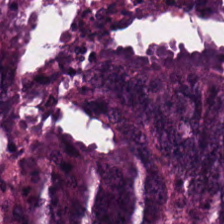H&E stain.
Showing colorectal adenocarcinoma epithelium.
